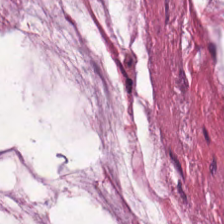Formalin-fixed paraffin-embedded section; hematoxylin and eosin.
Tissue class = mucin.
